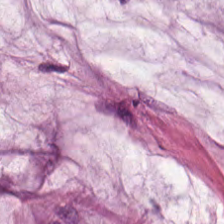The tissue here is mucin.
